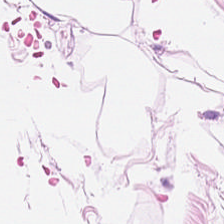Hematoxylin and eosin — Predominant tissue = fat tissue.
